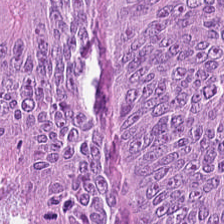Q: What is the predominant tissue type?
A: This is malignant epithelium.
